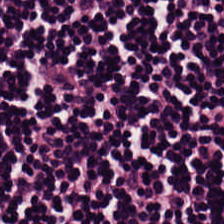H&E stain — Showing lymphoid infiltrate.
